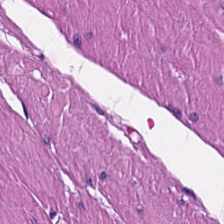H&E stain.
Tissue type — muscularis.
